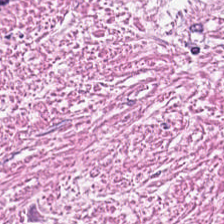WSI patch; hematoxylin-and-eosin stained section.
Predominant tissue = cancer-associated stroma.
